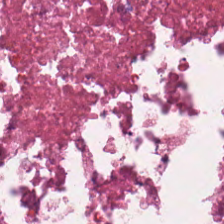H&E — debris.
